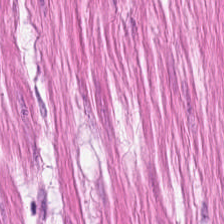Hematoxylin and eosin.
Q: What tissue is shown?
A: The field shows smooth-muscle tissue.
